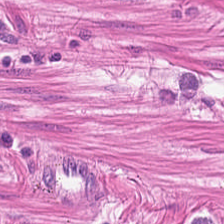0.5 µm/px; 224×224 pixel tile; hematoxylin and eosin.
Smooth muscle.
